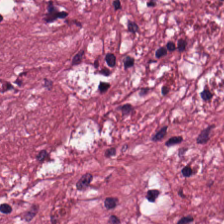Hematoxylin and eosin; formalin-fixed paraffin-embedded section — Predominantly cancer-associated stroma.
